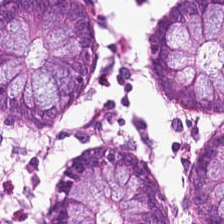{"tissue_type": "normal colon mucosa"}
